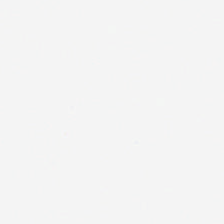H&E-stained tissue section.
No tissue present; background only.
